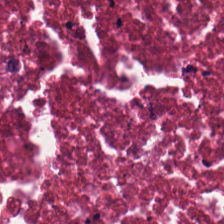Hematoxylin and eosin; brightfield microscopy; 224×224 pixel tile. Predominantly debris.
